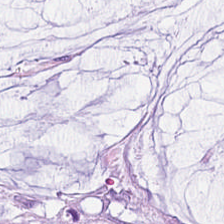224×224 px tile; H&E-stained tissue section; 0.5 µm per pixel — The classification is extracellular mucin.
